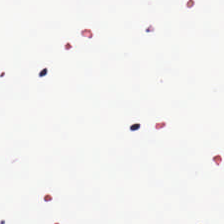Hematoxylin-and-eosin stained section — Q: What does this patch show?
A: Empty background.
